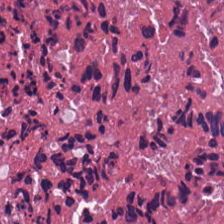Formalin-fixed paraffin-embedded section · hematoxylin-and-eosin stained section · 224×224 px tile. Predominantly necrotic debris.
